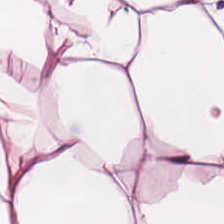H&E stain.
The predominant tissue is adipocytes.
